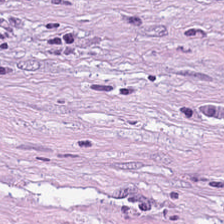H&E. Classification — tumor-associated stroma.
